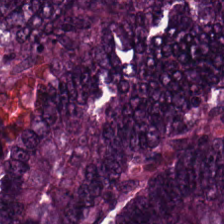This field is colorectal adenocarcinoma epithelium.
